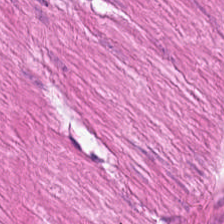H&E-stained tissue section.
Predominant tissue: muscularis.
